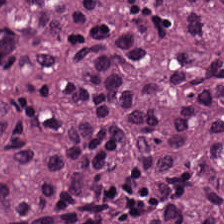Hematoxylin and eosin — Showing colorectal adenocarcinoma epithelium.
